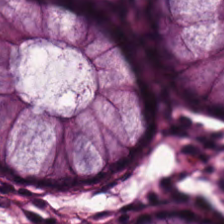The tissue here is normal colonic mucosa.
